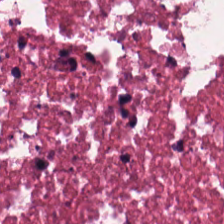Hematoxylin and eosin. Whole-slide-image patch.
Showing cellular debris.
